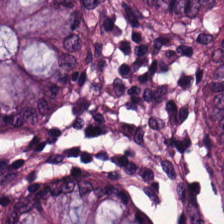Stain: H&E.
Resolution: 0.5 µm/px.
Acquisition: WSI patch.
Tissue class: normal colon mucosa.
